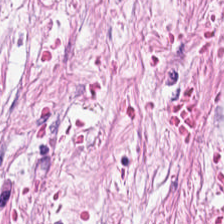H&E stain. This patch shows cancer-associated stroma.
